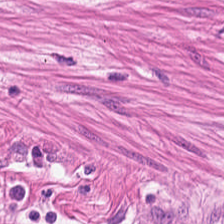20× equivalent magnification. H&E-stained tissue section. Brightfield — Q: Identify the tissue.
A: The field shows smooth muscle.
